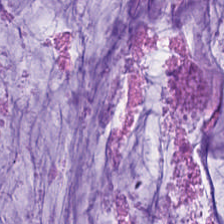Hematoxylin-and-eosin stained section — Q: Identify the tissue.
A: The field shows mucus.
